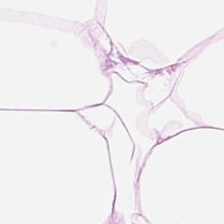H&E-stained tissue section — Predominant tissue — adipose tissue.
